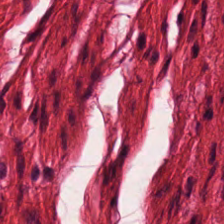Hematoxylin-and-eosin stained section. Finding → smooth-muscle tissue.
